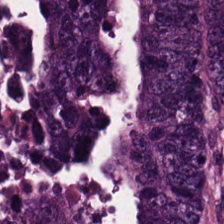H&E-stained section; the field shows adenocarcinoma.
